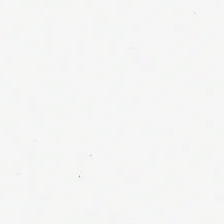H&E-stained tissue section. No tissue present; background only.
